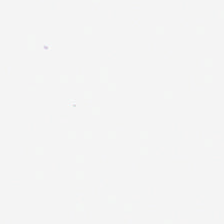Impression — no tissue.
